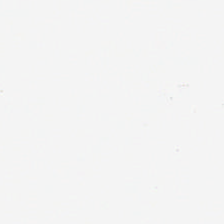Stain: H&E stain.
Field content: empty background.
